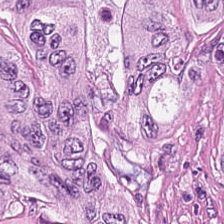FFPE · hematoxylin-and-eosin stained section · 0.5 microns per pixel.
The predominant tissue is adenocarcinoma.
